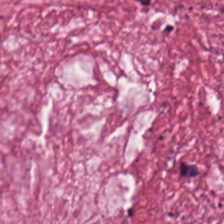Showing cancer-associated stroma.
